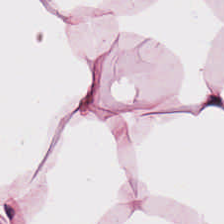H&E.
Q: Classify this patch.
A: The field shows adipocytes.
